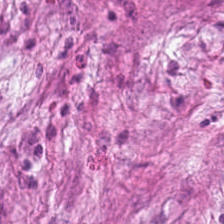H&E stain · FFPE — The classification is tumor-associated stroma.
